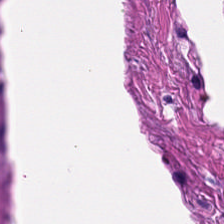20× equivalent magnification. Brightfield microscopy. H&E-stained tissue section — Q: Classify this patch.
A: This is smooth muscle.
